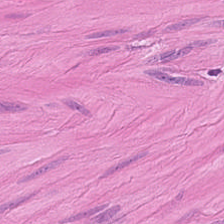H&E stain.
Predominantly smooth-muscle tissue.
